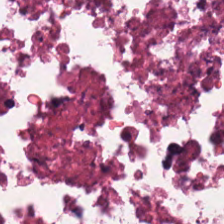Whole-slide-image patch. H&E — The predominant tissue is cellular debris.
